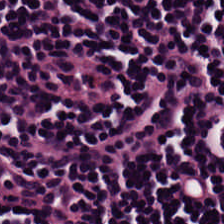Tissue — lymphocytes.
